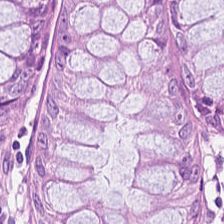H&E-stained tissue section.
Tissue class — non-neoplastic colon mucosa.
